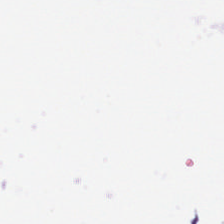This patch shows no tissue.
